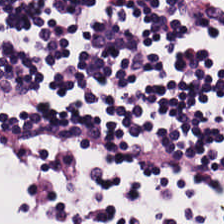H&E-stained tissue section · FFPE tissue section. Showing lymphocytic infiltrate.
